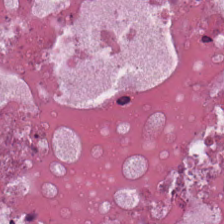224×224 pixel tile; H&E-stained tissue section — {"tissue_type": "necrotic debris"}
